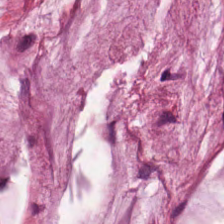Hematoxylin and eosin; 224×224 px patch. The tissue is extracellular mucin.
